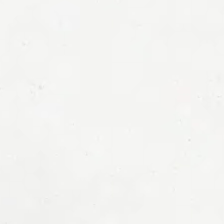224×224 px tile. H&E-stained tissue section.
This patch shows no tissue.
